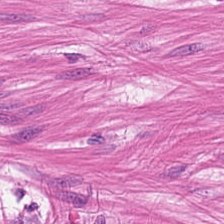H&E-stained tissue section.
Smooth muscle.
